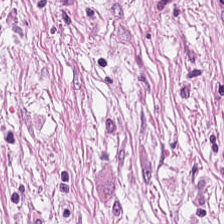Brightfield microscopy. H&E — Predominant tissue — tumor-associated stroma.
